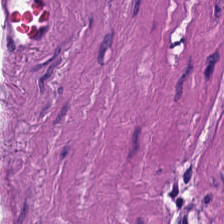Hematoxylin-and-eosin stained section.
Q: What is shown in this field?
A: Smooth muscle.
